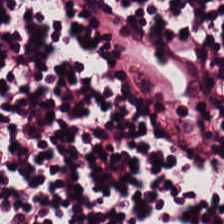Hematoxylin-and-eosin stained section.
Tissue class — lymphoid infiltrate.
